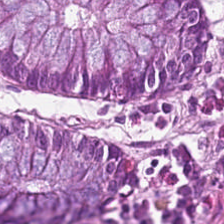Stain: hematoxylin-and-eosin stained section.
Resolution: 0.5 microns per pixel.
Tile size: 224×224 pixel tile.
Tissue: non-neoplastic colon mucosa.
